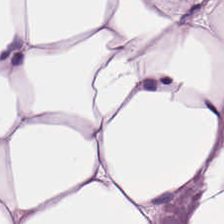20× equivalent magnification · H&E-stained tissue section.
Finding — adipose.
